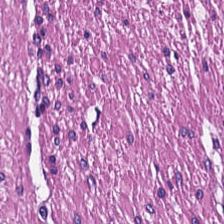Classification: smooth-muscle tissue.
